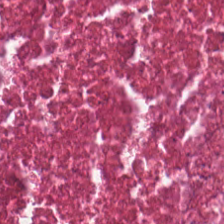H&E stain.
Q: What tissue type is shown here?
A: Necrotic debris.
